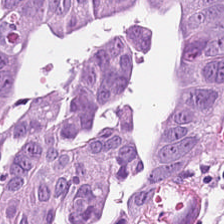{"tissue_type": "tumor epithelium"}
